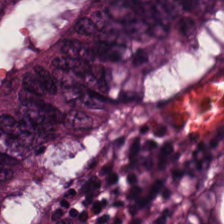Hematoxylin-and-eosin stained section. FFPE tissue section — This patch shows tumor epithelium.
